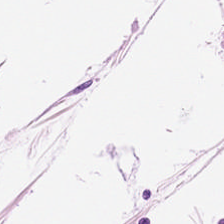H&E stain.
This field is adipose tissue.
